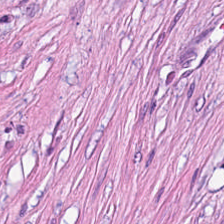Hematoxylin and eosin. Classification — tumor-associated stroma.
